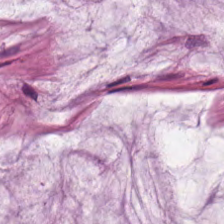H&E stain — Q: What tissue type is shown here?
A: The field shows mucin.
